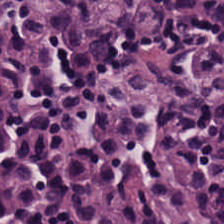Hematoxylin and eosin · 0.5 µm/px.
Tissue: lymphocyte aggregate.
